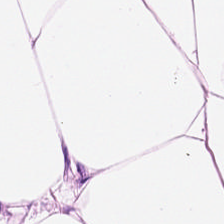H&E stain — This field is fat tissue.
